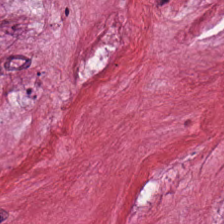Hematoxylin and eosin. 20× equivalent magnification. Finding → desmoplastic stroma.
